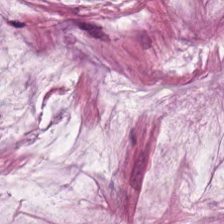Hematoxylin-and-eosin stained section · formalin-fixed paraffin-embedded section.
The tissue here is mucus.
